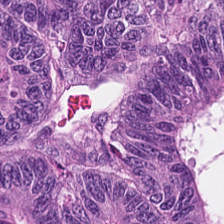Stain: hematoxylin-and-eosin stained section.
Tile size: 224×224 px tile.
Predominant tissue: malignant epithelium.
